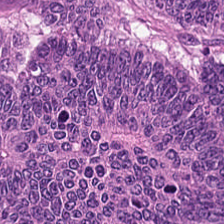H&E-stained tissue section. Classification — adenocarcinoma.
